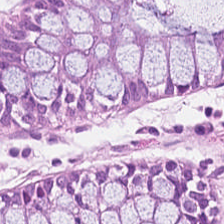Q: What tissue is shown?
A: This is non-neoplastic colon mucosa.
